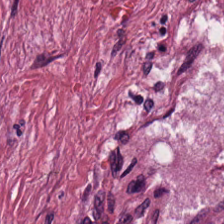Hematoxylin-and-eosin stained section.
Q: What is shown in this field?
A: The field shows cancer-associated stroma.
